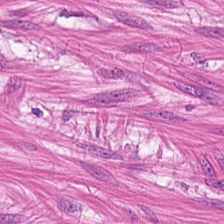H&E patch showing smooth muscle.
